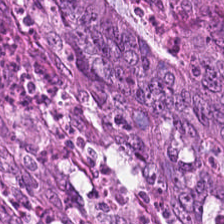H&E; brightfield microscopy — Q: What tissue is shown?
A: This is malignant epithelium.
